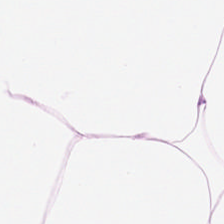0.5 microns per pixel. Hematoxylin and eosin. Predominant tissue = adipose.
